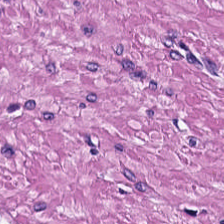H&E stain.
Tissue type — muscularis.
